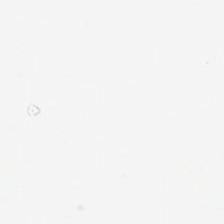20× equivalent magnification. Hematoxylin and eosin. Empty field — no tissue.
